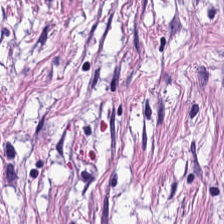FFPE tissue section · 224×224 px patch · H&E-stained tissue section. Tissue class = cancer-associated stroma.
